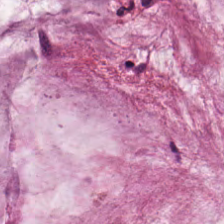Stain: H&E-stained tissue section.
Tissue class: extracellular mucin.
